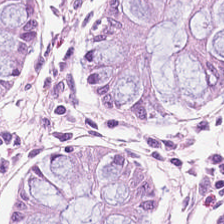Hematoxylin-and-eosin stained section.
Q: What is shown here?
A: The field shows normal colonic mucosa.
